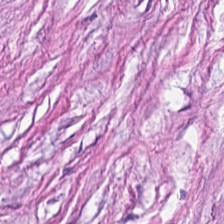WSI patch. 224×224 pixel tile. Hematoxylin and eosin. This patch shows desmoplastic stroma.
